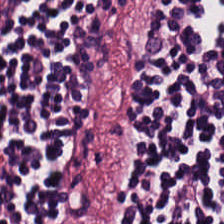H&E · formalin-fixed paraffin-embedded section. Tissue class = lymphocytes.
